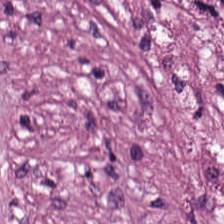This field is cancer-associated stroma.
